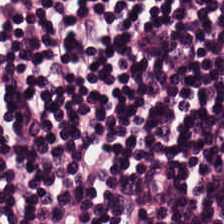H&E. {"tissue_type": "lymphocytes"}
